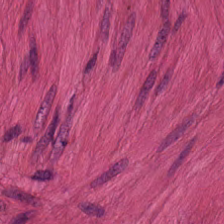Brightfield. 224×224 px patch. H&E stain — Q: Identify the tissue.
A: This is smooth-muscle tissue.
